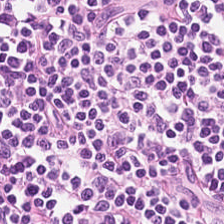H&E-stained tissue section — The tissue here is lymphocytic infiltrate.
